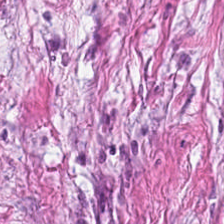Stain: H&E stain.
Tissue class: tumor-associated stroma.
